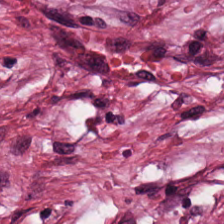Showing desmoplastic stroma.
